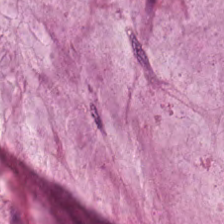Impression — mucus.
